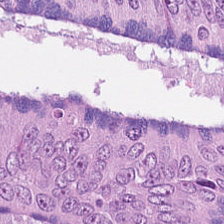H&E stain; brightfield. Tissue: tumor epithelium.
